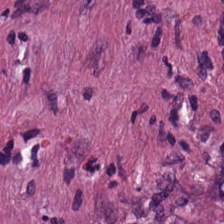0.5 microns per pixel; hematoxylin-and-eosin stained section.
This field is desmoplastic stroma.
